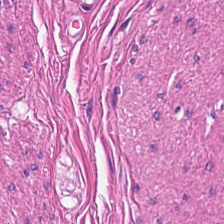Stain: hematoxylin-and-eosin stained section.
Resolution: 0.5 µm/px.
Tissue class: muscularis.
